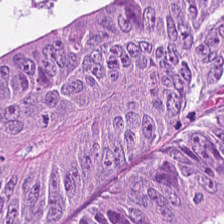H&E stain — {"tissue_type": "colorectal adenocarcinoma epithelium"}
